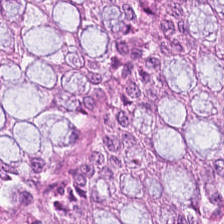0.5 µm/px · 224×224 px patch · hematoxylin and eosin — Q: Identify the tissue.
A: This is normal colon mucosa.
